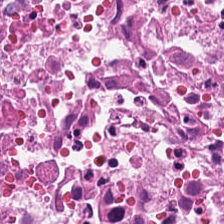Stain: H&E stain.
Tissue class: debris.
